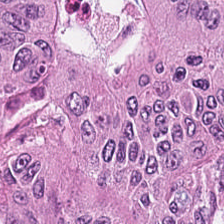Stain: hematoxylin and eosin.
Tissue class: adenocarcinoma.
